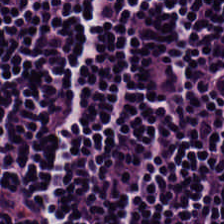Whole-slide-image patch. H&E — The tissue here is lymphocytic infiltrate.
